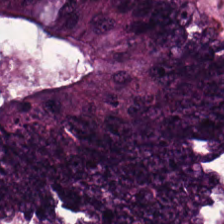Formalin-fixed paraffin-embedded section. H&E-stained tissue section. 224×224 px tile. Q: What does this patch show?
A: This is adenocarcinoma.
